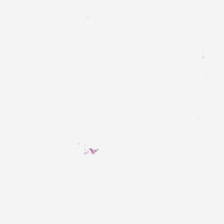Content: no tissue.
